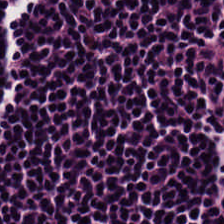The tissue is lymphocytic infiltrate.
